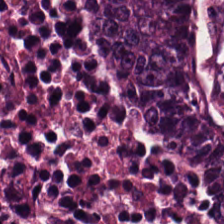0.5 microns per pixel. H&E-stained tissue section. FFPE — This field is colorectal adenocarcinoma epithelium.
